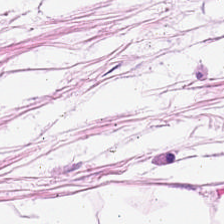H&E-stained tissue section. This field is adipose.
